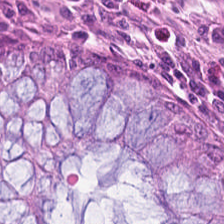Impression → normal colonic mucosa.
